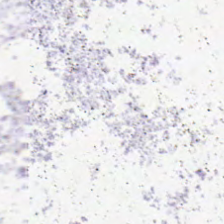Hematoxylin and eosin; 0.5 microns per pixel; formalin-fixed paraffin-embedded section. Impression — empty background.
